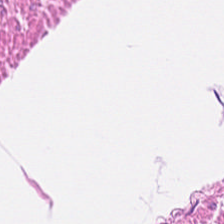224×224 px tile. H&E.
The classification is smooth muscle.
